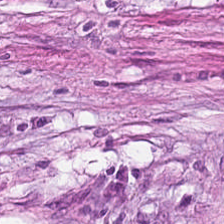0.5 microns per pixel. Brightfield. H&E stain — Q: What does this patch show?
A: It is tumor-associated stroma.
